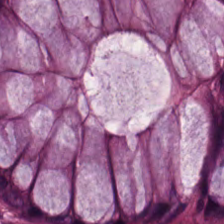Hematoxylin and eosin — This field is normal colonic mucosa.
